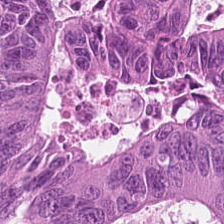FFPE. Hematoxylin-and-eosin stained section — The predominant tissue is colorectal adenocarcinoma epithelium.
